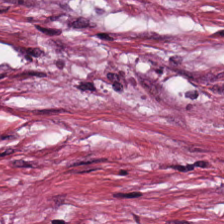H&E-stained tissue section; 0.5 µm per pixel — Tissue = desmoplastic stroma.
